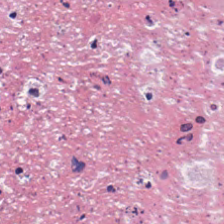H&E-stained tissue section showing cellular debris.
